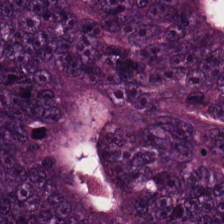Stain: hematoxylin-and-eosin stained section.
Classification: colorectal adenocarcinoma epithelium.
